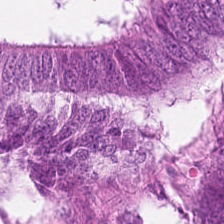H&E patch showing colorectal adenocarcinoma epithelium.
